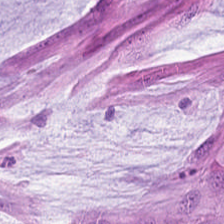Hematoxylin and eosin. Tissue type = mucin.
